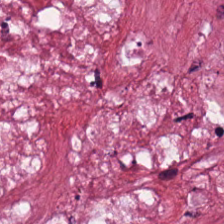H&E. Classification — tumor-associated stroma.
